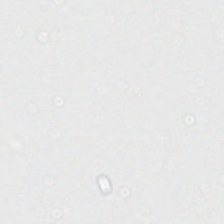H&E; 0.5 µm per pixel; formalin-fixed paraffin-embedded section.
{"content": "background"}
